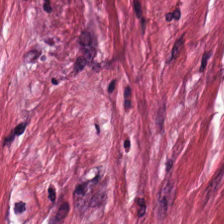H&E-stained tissue section. Brightfield microscopy — Q: What tissue type is shown here?
A: It is tumor stroma.
